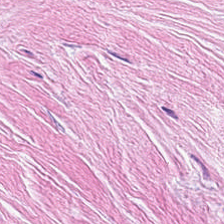H&E stain. Showing tumor-associated stroma.
